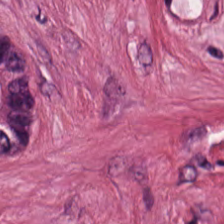H&E.
Showing cancer-associated stroma.
